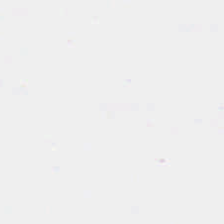The field content is no tissue.
